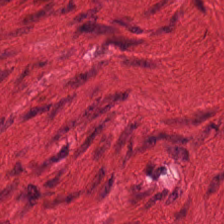H&E stain. The tissue here is smooth muscle.
